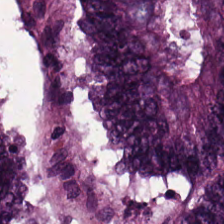Hematoxylin and eosin; 224×224 px patch — Adenocarcinoma.
